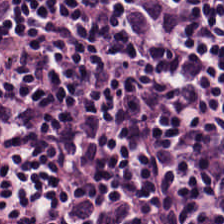H&E stain · formalin-fixed paraffin-embedded section. Impression → lymphoid infiltrate.
